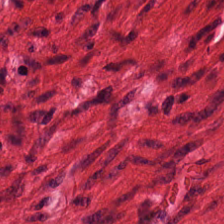H&E-stained tissue section.
This patch shows muscularis.
